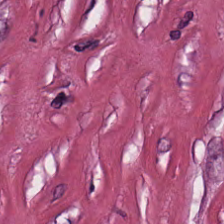Hematoxylin and eosin — Q: What does this patch show?
A: It is tumor-associated stroma.
